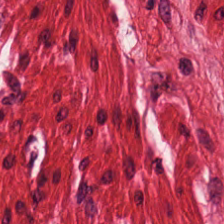H&E stain. 224×224 pixel tile — Classification = muscularis.
